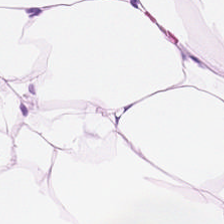Stain: hematoxylin and eosin.
Resolution: 0.5 µm per pixel.
Acquisition: whole-slide-image patch.
Classification: adipocytes.
